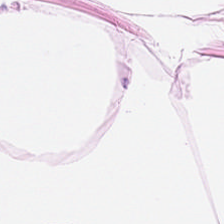Hematoxylin and eosin.
The predominant tissue is adipocytes.
